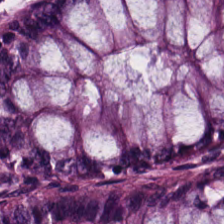H&E.
Benign colonic mucosa.
